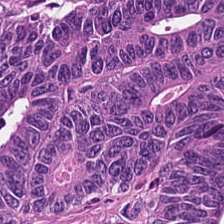Finding — tumor epithelium.
